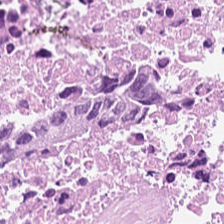Impression — necrotic debris.
